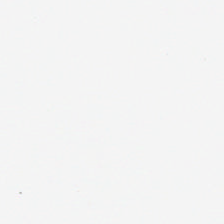224×224 px tile. H&E. Brightfield microscopy.
No tissue present; background only.
